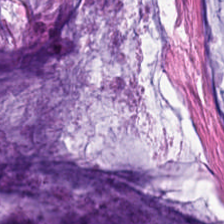Tissue class = extracellular mucin.
